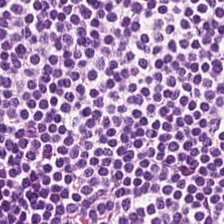0.5 µm per pixel · hematoxylin and eosin · WSI patch — Lymphoid infiltrate.
